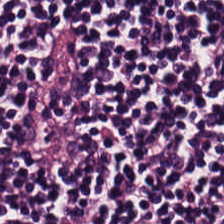Brightfield · H&E.
Lymphocytes.
